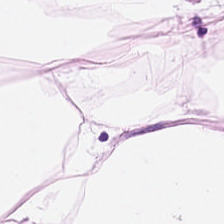Hematoxylin-and-eosin stained section. FFPE.
Q: What is the predominant tissue type?
A: This is fat tissue.
